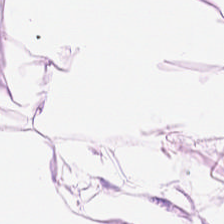WSI patch · hematoxylin and eosin. This patch shows adipose tissue.
